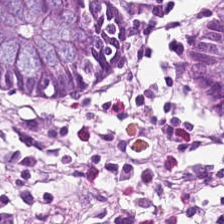{"tissue_type": "normal colon mucosa"}
